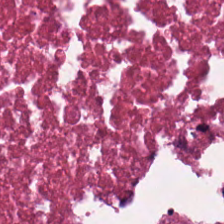Tissue = cellular debris.
